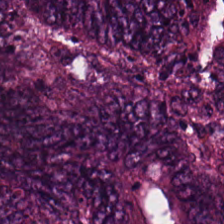H&E stain — Colorectal adenocarcinoma.
